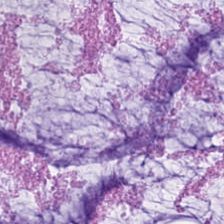H&E. The classification is mucus.
